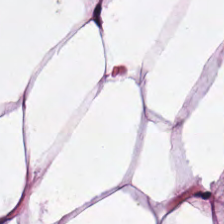Hematoxylin-and-eosin section: adipose tissue.
